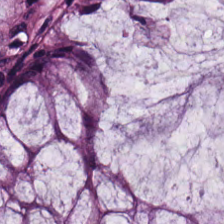Hematoxylin and eosin — Showing normal colon mucosa.
